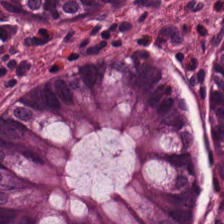0.5 µm/px. Hematoxylin and eosin — Predominantly benign colonic mucosa.
